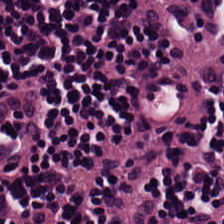H&E stain. Brightfield. FFPE tissue section — Tissue class = lymphocytic infiltrate.
